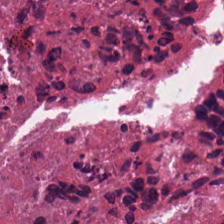H&E stain.
Histology — debris.
